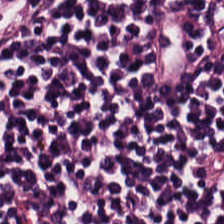Stain: hematoxylin and eosin.
Tissue class: lymphocyte aggregate.
